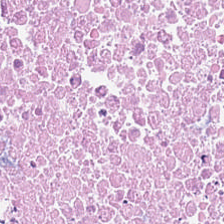0.5 µm/px. H&E-stained tissue section.
Q: What is shown here?
A: The field shows cellular debris.
